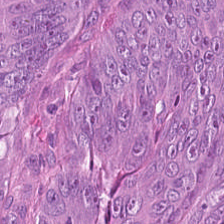Brightfield; H&E; FFPE.
Tissue class: colorectal adenocarcinoma epithelium.
